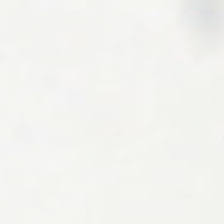H&E stain. 0.5 µm per pixel. Formalin-fixed paraffin-embedded section. Field content — empty background.
